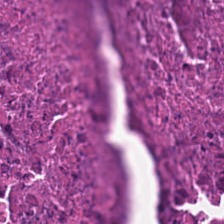224×224 px patch; hematoxylin-and-eosin stained section.
Predominant tissue = cellular debris.
